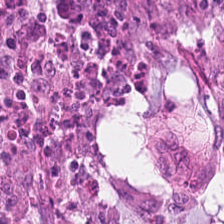H&E stain — This field is tumor epithelium.
